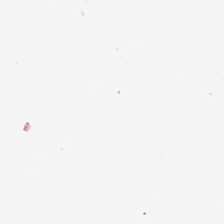Hematoxylin-and-eosin stained section.
The field content is background (no tissue).
